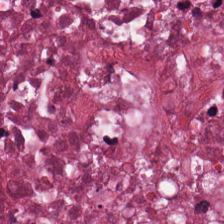H&E stain · 224×224 px patch. This field is debris.
